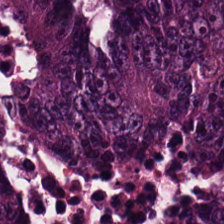Predominant tissue = colorectal adenocarcinoma.
